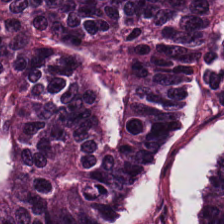Hematoxylin and eosin. Brightfield. This field is colorectal adenocarcinoma epithelium.
